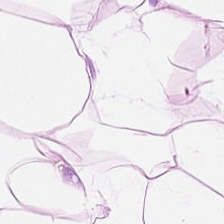H&E-stained tissue section.
Q: What type of tissue is this?
A: The field shows adipose tissue.
